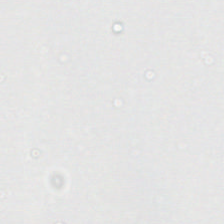Q: What is shown here?
A: Empty background.
